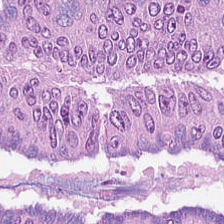0.5 microns per pixel · hematoxylin-and-eosin stained section · 224×224 px patch. Impression → colorectal adenocarcinoma.
